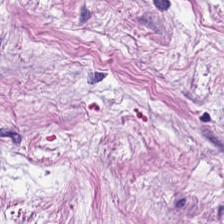H&E stain.
Tissue: cancer-associated stroma.
